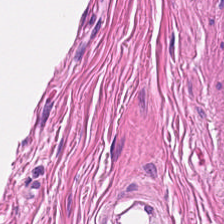H&E stain — This patch shows smooth-muscle tissue.
